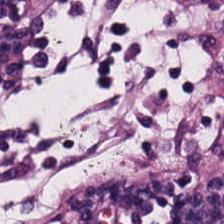Stain: hematoxylin and eosin.
Tissue class: lymphocytes.
